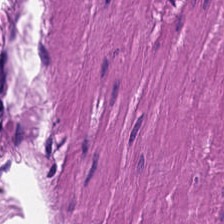Predominant tissue — smooth-muscle tissue.
